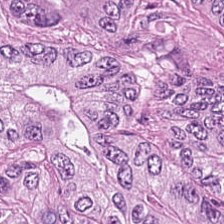Classification — colorectal adenocarcinoma epithelium.
